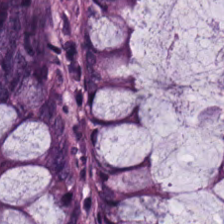Predominant tissue = benign colonic mucosa.
